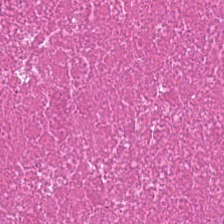Stain: H&E stain.
Predominant tissue: necrotic debris.
